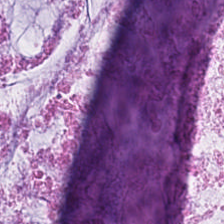H&E-stained tissue section. 0.5 µm/px. Predominantly mucus.
